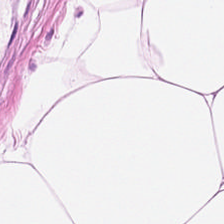Finding — adipose tissue.
